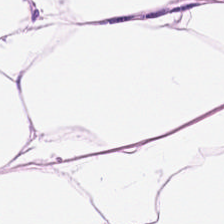Stain: H&E.
Resolution: 0.5 µm/px.
Tissue type: adipocytes.
